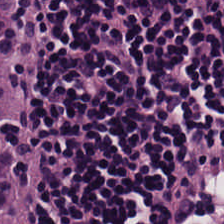H&E · 224×224 px tile — The tissue here is lymphoid infiltrate.
